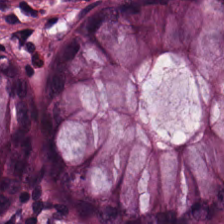Hematoxylin-and-eosin stained section; FFPE; 224×224 px patch.
Finding — normal colon mucosa.
